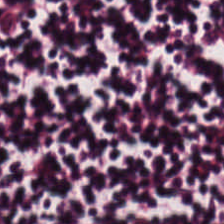H&E. Q: What is shown in this field?
A: It is lymphocytes.
